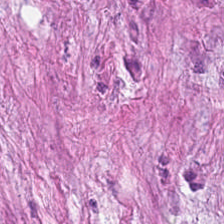Stain: H&E-stained tissue section.
Classification: desmoplastic stroma.
